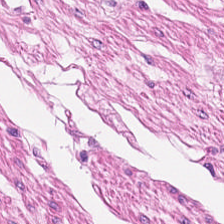Predominant tissue — smooth muscle.
